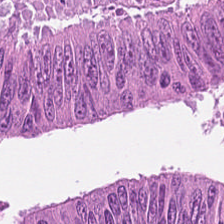H&E-stained tissue section; 224×224 px patch.
Adenocarcinoma.
